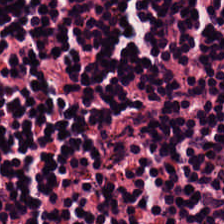Stain: H&E.
Tissue type: lymphoid infiltrate.
